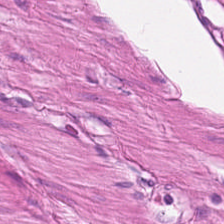H&E — The classification is muscularis.
